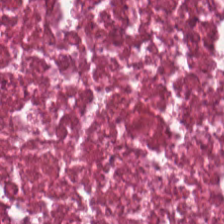H&E-stained tissue section. Predominantly cellular debris.
